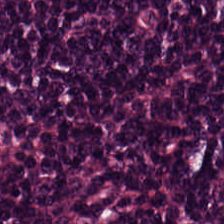Classification = lymphoid infiltrate.
